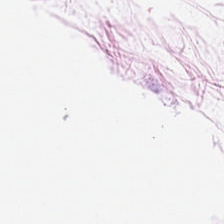Hematoxylin and eosin.
Adipose tissue.
